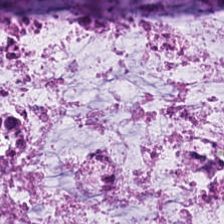Predominant tissue — extracellular mucin.
